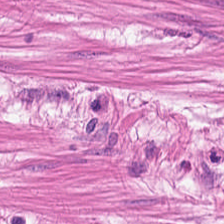Hematoxylin and eosin. {"tissue_type": "smooth muscle"}
